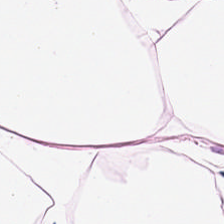H&E-stained tissue section. 0.5 µm per pixel. Formalin-fixed paraffin-embedded section.
Histology — adipocytes.
